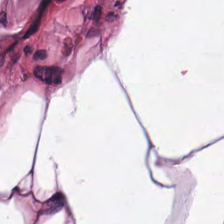Stain: hematoxylin-and-eosin stained section.
Predominant tissue: fat tissue.
